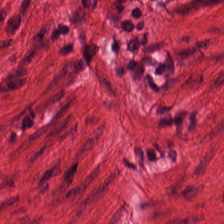H&E stain.
Tissue class = smooth muscle.
